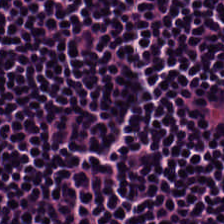H&E-stained tissue section.
Predominantly lymphoid infiltrate.
